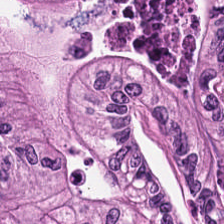H&E-stained tissue section · whole-slide-image patch. Showing tumor epithelium.
